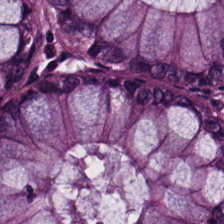Stain: H&E stain.
Resolution: 20× equivalent magnification.
Preparation: FFPE tissue section.
Predominant tissue: normal colon mucosa.
